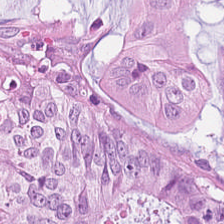Hematoxylin-and-eosin stained section. Q: Identify the tissue.
A: It is tumor epithelium.
